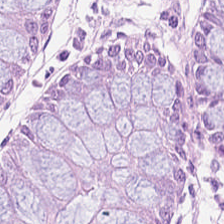Hematoxylin-and-eosin stained section · FFPE tissue section.
Impression → non-neoplastic colon mucosa.
